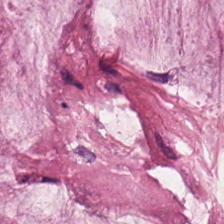Brightfield. 0.5 µm/px. H&E-stained tissue section. Tissue: mucin.
